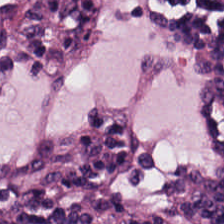H&E; 224×224 px patch; FFPE. Tissue class: lymphocytes.
